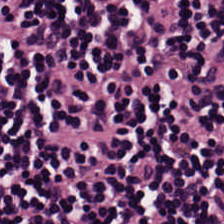H&E-stained tissue section — This patch shows lymphocytes.
